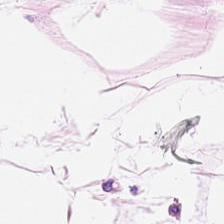Stain: H&E.
Classification: adipose tissue.
